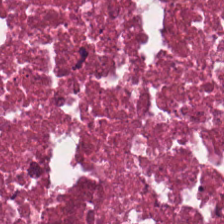Cellular debris.
